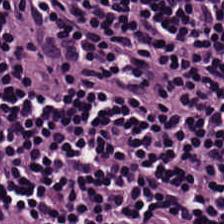Hematoxylin-and-eosin stained section.
Tissue type — lymphocytic infiltrate.
